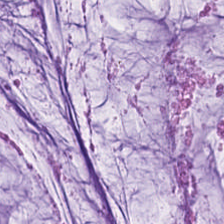Hematoxylin and eosin. This field is extracellular mucin.
